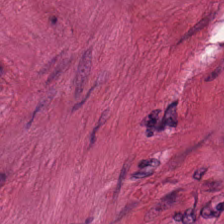WSI patch · H&E.
Q: Classify this patch.
A: Muscularis.
